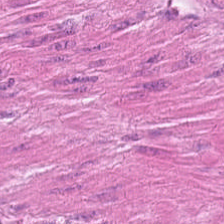Hematoxylin and eosin.
Muscularis.
